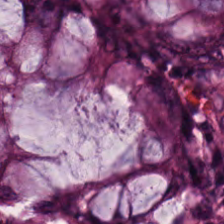20× equivalent magnification · whole-slide-image patch · hematoxylin and eosin.
The predominant tissue is normal colonic mucosa.
